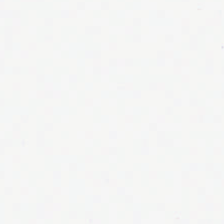H&E-stained tissue section. This patch shows empty background.
